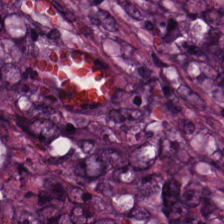Hematoxylin-and-eosin stained section. {"tissue_type": "tumor epithelium"}
